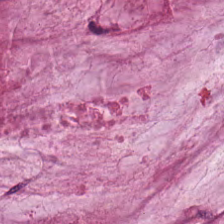0.5 microns per pixel; hematoxylin-and-eosin stained section — Q: What type of tissue is this?
A: The field shows mucin.
